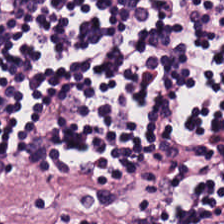Hematoxylin and eosin; 224×224 px tile; 0.5 µm/px. Predominantly lymphocytes.
